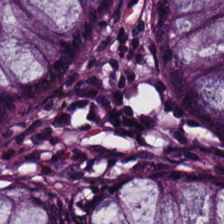The classification is normal colon mucosa.
